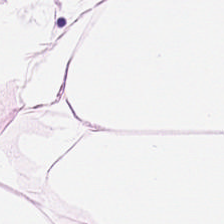H&E-stained tissue section — This patch shows adipocytes.
